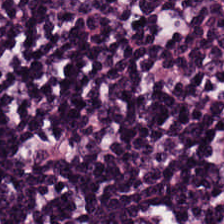Histology — lymphocyte aggregate.
